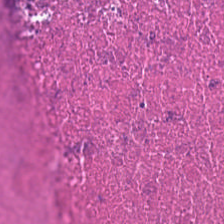H&E. Q: What is the predominant tissue type?
A: This is necrotic debris.
